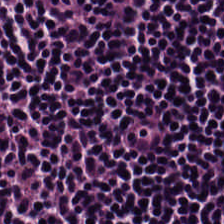H&E stain.
{"tissue_type": "lymphocytes"}
